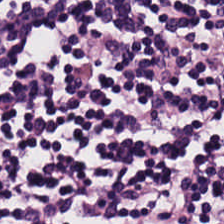H&E-stained section; the field shows lymphocytes.
